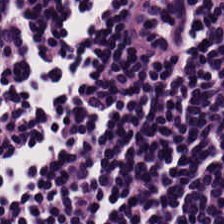Hematoxylin and eosin; FFPE; 224×224 px tile — The classification is lymphocyte aggregate.
